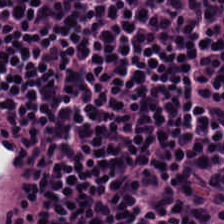Stain: hematoxylin-and-eosin stained section.
Tile size: 224×224 px tile.
Tissue: lymphocytic infiltrate.
